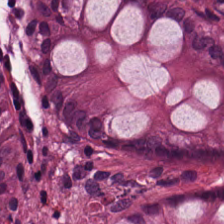Predominantly normal colonic mucosa.
